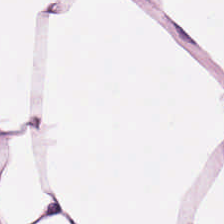H&E.
This patch shows adipose tissue.
